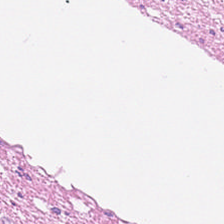H&E — Finding — muscularis.
